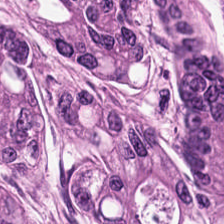H&E.
Histology → colorectal adenocarcinoma epithelium.
